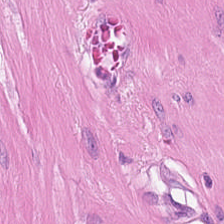Stain: H&E-stained tissue section.
Predominant tissue: smooth-muscle tissue.
